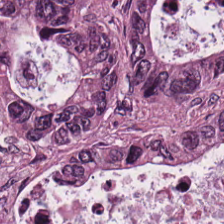Histology → malignant epithelium.
